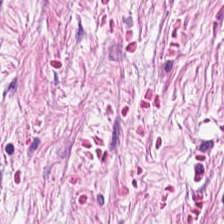H&E. WSI patch. {"tissue_type": "tumor-associated stroma"}
